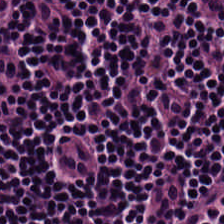Stain: H&E-stained tissue section.
Tissue: lymphoid infiltrate.
